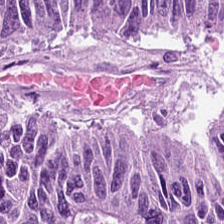H&E — {"tissue_type": "malignant epithelium"}
